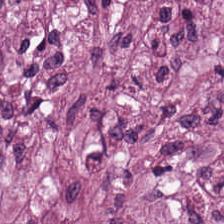Hematoxylin-and-eosin stained section · FFPE. Tissue type: cancer-associated stroma.
